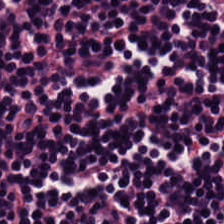Classification = lymphocyte aggregate.
